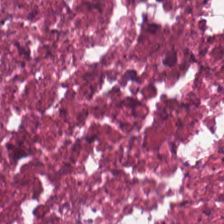H&E-stained tissue section. Predominantly necrotic debris.
